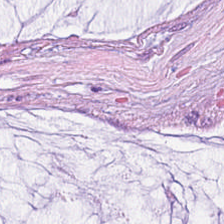H&E stain — Impression — extracellular mucin.
